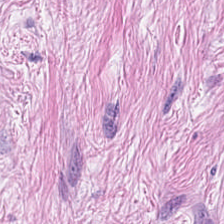H&E. Predominantly tumor stroma.
